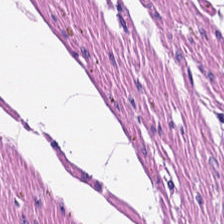Tissue = smooth-muscle tissue.
